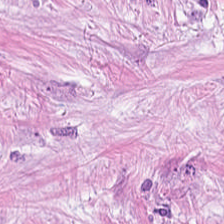H&E stain.
Predominant tissue: desmoplastic stroma.
